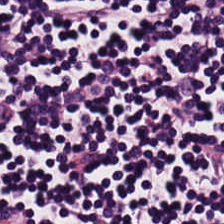Hematoxylin-and-eosin stained section. This patch shows lymphoid infiltrate.
